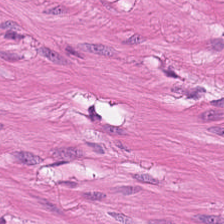Hematoxylin-and-eosin stained section. Predominant tissue — smooth muscle.
